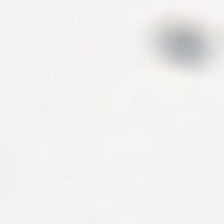Empty field — background (no tissue).
